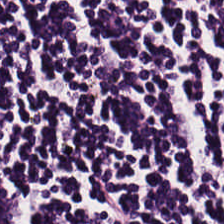Hematoxylin-and-eosin stained section. Q: What is the predominant tissue type?
A: Lymphocytes.
